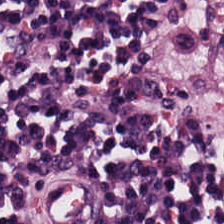Lymphocytes.
